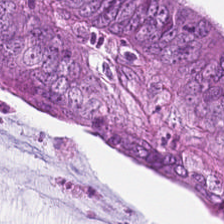Stain: H&E stain.
Acquisition: brightfield.
Tissue class: colorectal adenocarcinoma epithelium.
